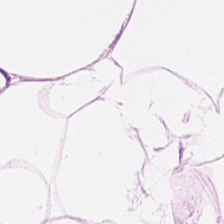H&E-stained tissue section · 224×224 px patch.
Q: What tissue type is shown here?
A: This is adipocytes.
